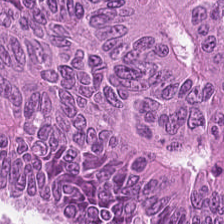Impression — tumor epithelium.
